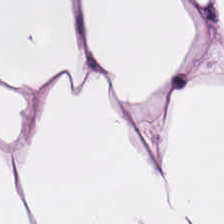H&E. Q: What is shown in this field?
A: Adipocytes.
